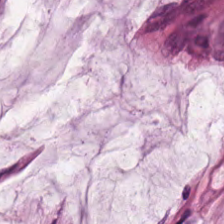The tissue type is mucus.
